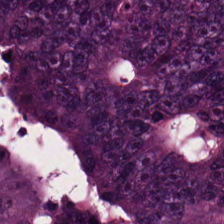H&E; FFPE tissue section; 20× equivalent magnification.
Histology — colorectal adenocarcinoma.
